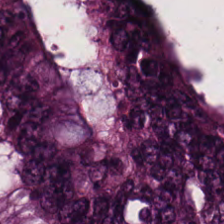Hematoxylin and eosin — This field is malignant epithelium.
